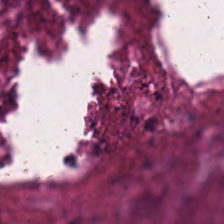224×224 px patch. H&E stain — This patch shows cellular debris.
